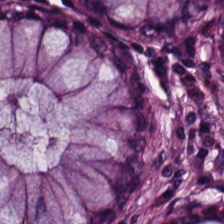H&E stain. Showing normal colonic mucosa.
